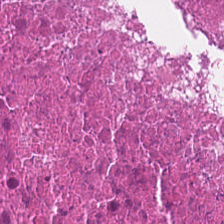Hematoxylin and eosin. FFPE. Q: What tissue is shown?
A: The field shows necrotic debris.
